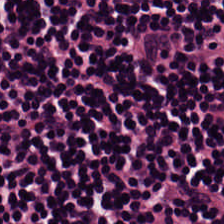Formalin-fixed paraffin-embedded section; hematoxylin-and-eosin stained section. This patch shows lymphocyte aggregate.
